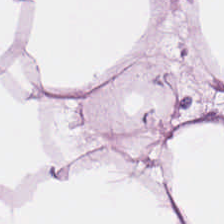H&E-stained tissue section — Q: What tissue is shown?
A: This is adipose.
